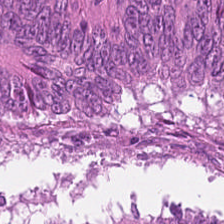Hematoxylin and eosin; FFPE tissue section.
The tissue here is malignant epithelium.
